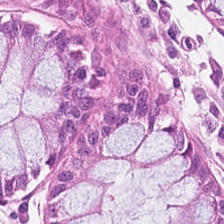FFPE tissue section; H&E — Tissue — normal colon mucosa.
